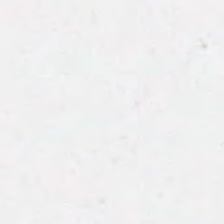224×224 px tile · hematoxylin and eosin · brightfield microscopy. Histology — no tissue.
